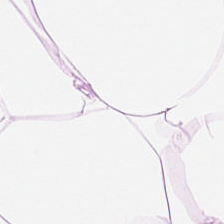H&E stain.
Tissue type — adipose tissue.
